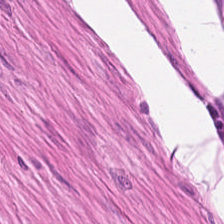Hematoxylin and eosin. WSI patch. This patch shows smooth-muscle tissue.
